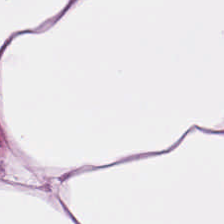Hematoxylin-and-eosin stained section — This patch shows fat tissue.
